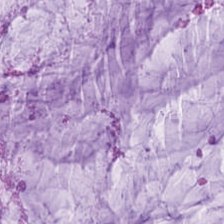0.5 µm/px; brightfield; H&E. The predominant tissue is mucin.
